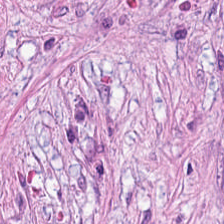0.5 microns per pixel; H&E-stained tissue section — Tumor stroma.
